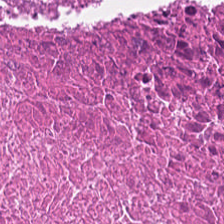224×224 px tile. H&E. Histology — debris.
